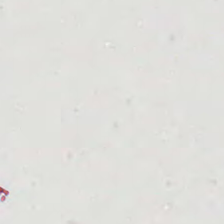Stain: hematoxylin-and-eosin stained section.
Resolution: 0.5 µm/px.
Content: empty background.
